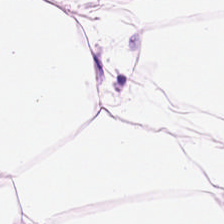H&E — Predominantly adipose.
